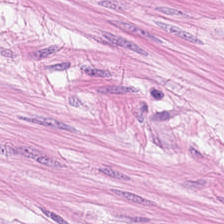H&E-stained tissue section — Q: What does this patch show?
A: The field shows muscularis.
